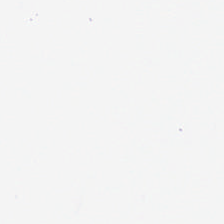Hematoxylin-and-eosin stained section.
Histology — background.
